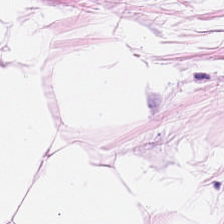H&E-stained section; the field shows adipose tissue.
